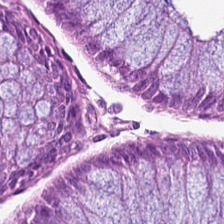H&E · 224×224 px patch — Predominant tissue = normal colonic mucosa.
